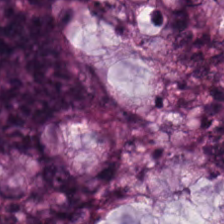Stain: hematoxylin and eosin.
Tile size: 224×224 px tile.
Predominant tissue: colorectal adenocarcinoma epithelium.
